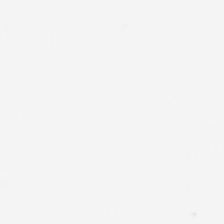Empty field — background (no tissue).
